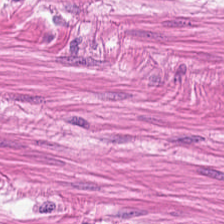Formalin-fixed paraffin-embedded section · hematoxylin-and-eosin stained section. {"tissue_type": "smooth-muscle tissue"}
